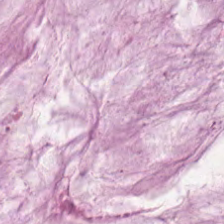H&E stain; FFPE tissue section — This field is extracellular mucin.
